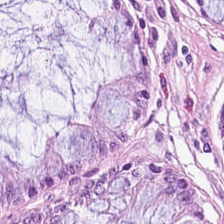224×224 px tile · H&E stain. This patch shows benign colonic mucosa.
